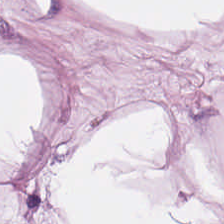Hematoxylin-and-eosin stained section — Q: What tissue type is shown here?
A: Adipocytes.
